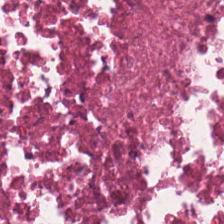Hematoxylin-and-eosin stained section — Tissue class: cellular debris.
